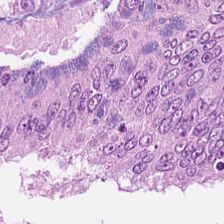Formalin-fixed paraffin-embedded section; brightfield microscopy; hematoxylin and eosin.
Predominant tissue: tumor epithelium.
